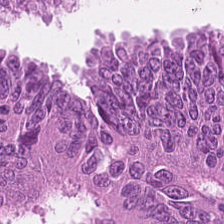Whole-slide-image patch. H&E stain. FFPE.
Tissue class: adenocarcinoma.
